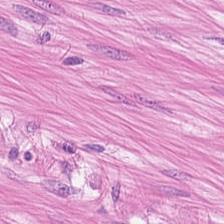Q: What is shown here?
A: This is smooth muscle.
